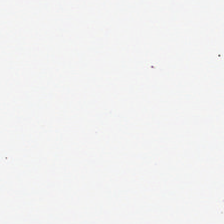Impression → empty background.
